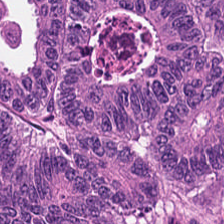The predominant tissue is colorectal adenocarcinoma.
